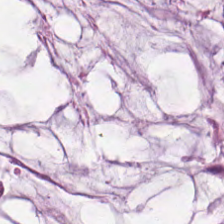H&E. Tissue = mucus.
